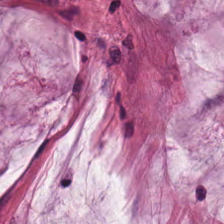H&E.
Tissue type: mucus.
